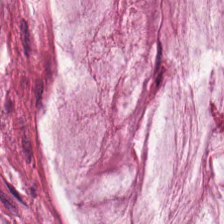H&E. 0.5 µm per pixel.
Q: What is the predominant tissue type?
A: The field shows extracellular mucin.
